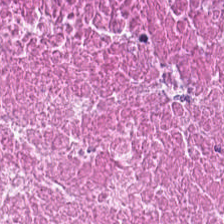Hematoxylin and eosin. 0.5 µm per pixel. Impression → cellular debris.
